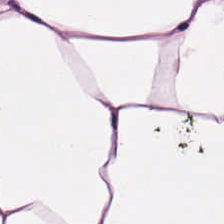Hematoxylin and eosin.
Q: What is the predominant tissue type?
A: It is adipose.
